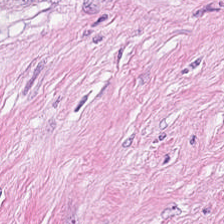{"tissue_type": "tumor-associated stroma"}
